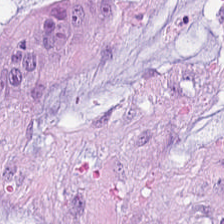Q: What does this patch show?
A: This is extracellular mucin.
